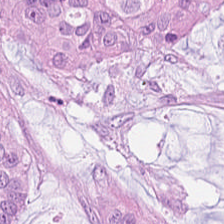H&E. Brightfield microscopy — The tissue here is tumor epithelium.
